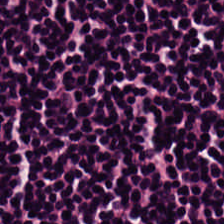H&E stain · WSI patch — This patch shows lymphocytic infiltrate.
